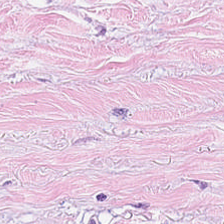H&E-stained tissue section; FFPE tissue section.
Tissue class: tumor stroma.
